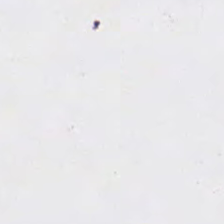Hematoxylin and eosin. Content = empty background.
